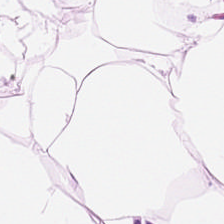H&E stain · WSI patch — The classification is adipose tissue.
